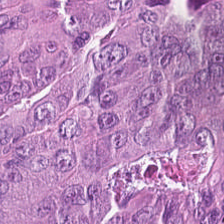H&E · whole-slide-image patch. The tissue is adenocarcinoma.
